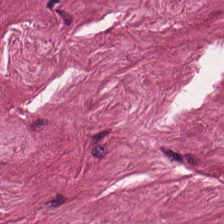Hematoxylin-and-eosin stained section. Classification — cancer-associated stroma.
